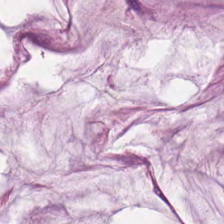Stain: H&E.
Tissue: extracellular mucin.
